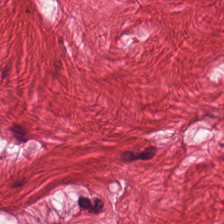Hematoxylin-and-eosin stained section. The predominant tissue is muscularis.
